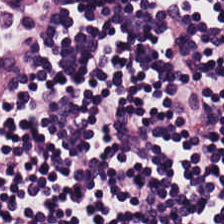H&E stain — Q: What is shown here?
A: This is lymphocyte aggregate.
